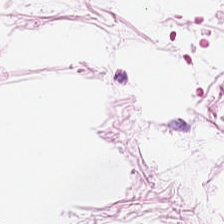H&E-stained tissue section.
Showing fat tissue.
